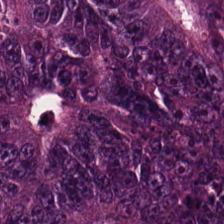224×224 pixel tile · H&E stain · formalin-fixed paraffin-embedded section — Impression — colorectal adenocarcinoma.
